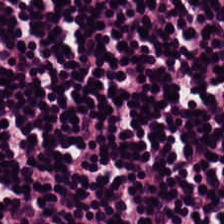H&E stain. Showing lymphocytic infiltrate.
